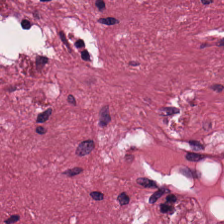0.5 µm per pixel; hematoxylin and eosin — Tissue type — desmoplastic stroma.
